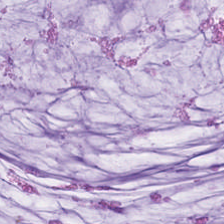Hematoxylin and eosin · 224×224 px patch · WSI patch. The classification is mucin.
